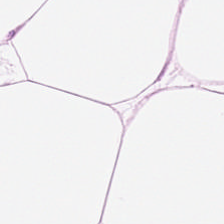Hematoxylin-and-eosin stained section. Q: What tissue is shown?
A: The field shows fat tissue.
